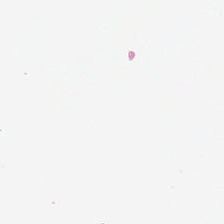H&E · 20× equivalent magnification. Field content: background.
